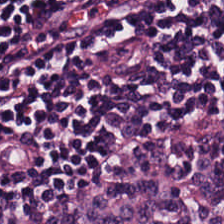Brightfield. Hematoxylin and eosin — Histology → lymphocytes.
